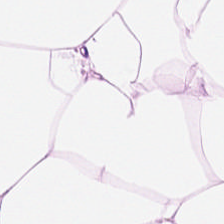Hematoxylin and eosin — Classification: fat tissue.
